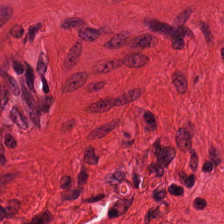Brightfield. Hematoxylin and eosin. Smooth muscle.
